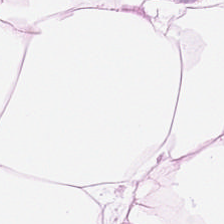Hematoxylin-and-eosin section: fat tissue.
